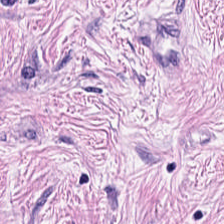0.5 µm/px; brightfield; H&E stain — Predominantly tumor stroma.
